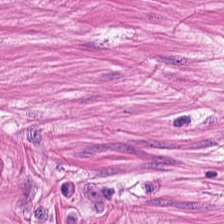H&E stain — Finding — muscularis.
